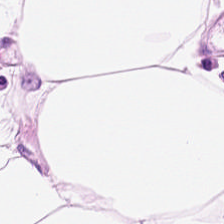The tissue class is adipose tissue.
